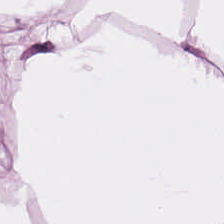H&E stain. FFPE tissue section. Brightfield — Predominant tissue = fat tissue.
